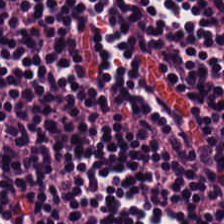Stain: hematoxylin-and-eosin stained section.
Resolution: 0.5 µm per pixel.
Classification: lymphocytes.
